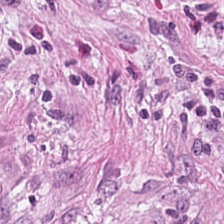Impression → tumor stroma.
